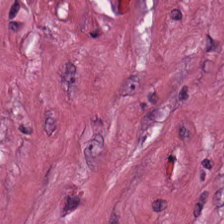H&E stain.
Q: What tissue is shown?
A: Tumor stroma.
